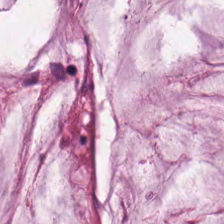0.5 microns per pixel. WSI patch. H&E — The tissue class is extracellular mucin.
